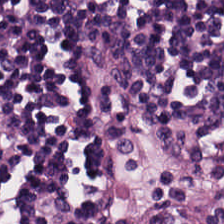FFPE · hematoxylin and eosin.
Q: What type of tissue is this?
A: It is lymphocytic infiltrate.
